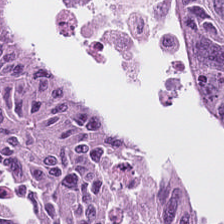Tissue type: colorectal adenocarcinoma.
